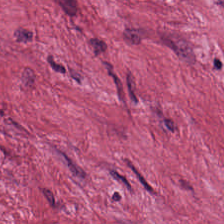Stain: hematoxylin-and-eosin stained section.
Acquisition: brightfield.
Predominant tissue: cancer-associated stroma.
